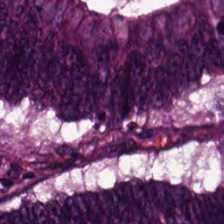H&E-stained tissue section · whole-slide-image patch — This patch shows colorectal adenocarcinoma epithelium.
